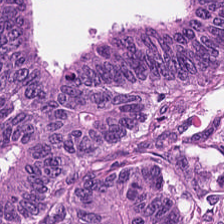Histology → colorectal adenocarcinoma epithelium.
